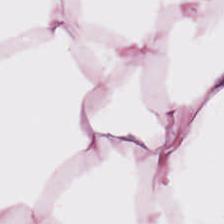This patch shows adipocytes.
